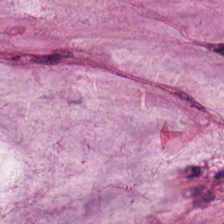Hematoxylin and eosin · WSI patch — Tissue = mucin.
